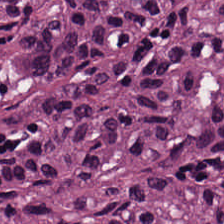H&E-stained tissue section; 20× equivalent magnification.
This field is adenocarcinoma.
